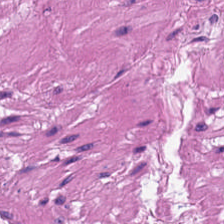Whole-slide-image patch. Hematoxylin-and-eosin stained section.
Predominantly smooth-muscle tissue.
